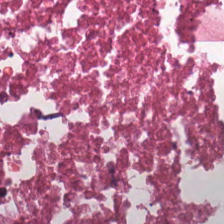Formalin-fixed paraffin-embedded section. H&E. 224×224 pixel tile.
Cellular debris.
